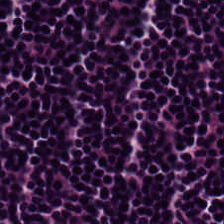0.5 µm/px · 224×224 px patch · H&E.
Tissue = lymphocyte aggregate.
